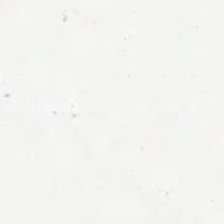Stain: hematoxylin and eosin.
Resolution: 0.5 microns per pixel.
Content: background.
